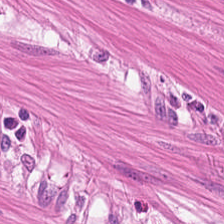FFPE; hematoxylin-and-eosin stained section.
Tissue — muscularis.
